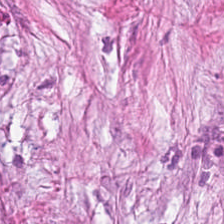Q: What does this patch show?
A: The field shows tumor-associated stroma.
